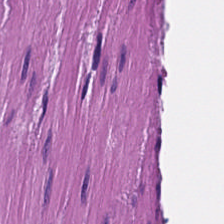WSI patch. H&E-stained tissue section. This field is muscularis.
